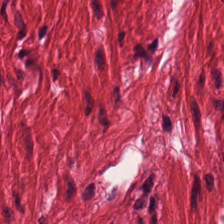H&E stain — Predominant tissue: smooth muscle.
